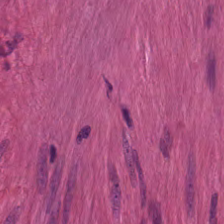WSI patch; hematoxylin-and-eosin stained section.
This field is smooth-muscle tissue.
